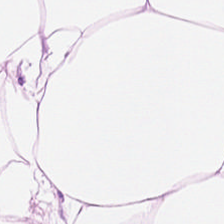H&E; FFPE tissue section; 0.5 µm per pixel — Tissue class — adipose tissue.
